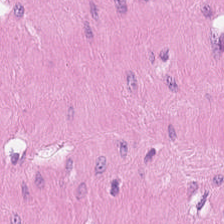0.5 µm per pixel · formalin-fixed paraffin-embedded section · H&E-stained tissue section.
Q: What is shown here?
A: It is muscularis.
